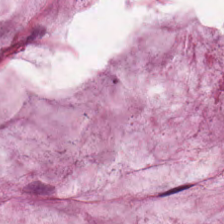Q: What tissue type is shown here?
A: The field shows mucin.
